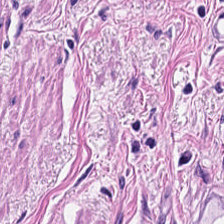The predominant tissue is smooth muscle.
